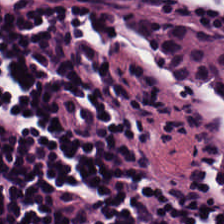Hematoxylin and eosin — Tissue class: lymphocyte aggregate.
